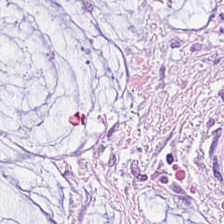FFPE tissue section · hematoxylin and eosin · 20× equivalent magnification. The tissue here is extracellular mucin.
